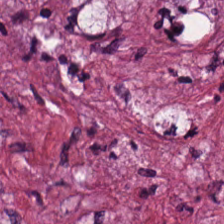FFPE; H&E stain; 224×224 px tile.
This field is tumor-associated stroma.
